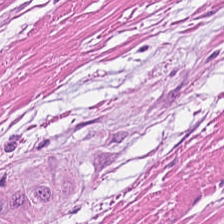H&E-stained tissue section · 224×224 px tile — This field is smooth muscle.
